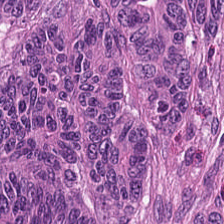Brightfield microscopy · H&E-stained tissue section.
The classification is adenocarcinoma.
